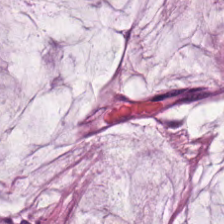Hematoxylin and eosin.
Showing mucin.
